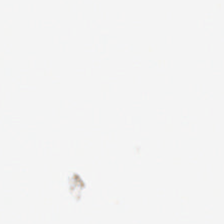Stain: H&E.
Content: no tissue.
